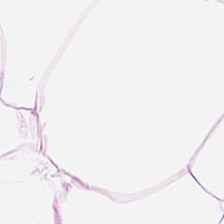H&E · FFPE.
Tissue type: adipocytes.
